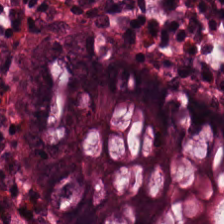224×224 px patch; H&E-stained tissue section; 0.5 microns per pixel.
Impression — normal colon mucosa.
